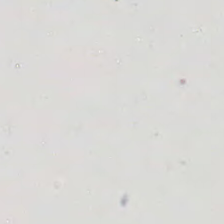Stain: H&E.
Acquisition: whole-slide-image patch.
Content: background (no tissue).
